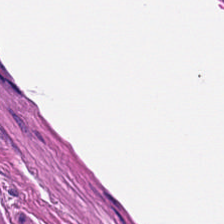Brightfield · FFPE tissue section · hematoxylin and eosin — This patch shows smooth-muscle tissue.
